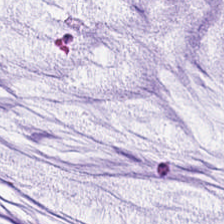Stain: H&E stain.
Tissue: extracellular mucin.
